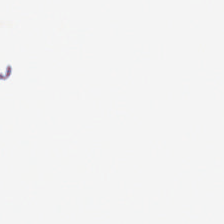WSI patch; H&E; 0.5 microns per pixel.
The content is background (no tissue).
